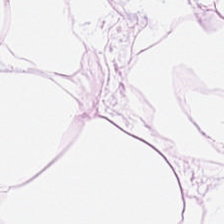H&E.
Q: What tissue type is shown here?
A: This is adipocytes.
